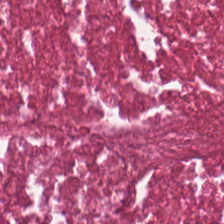Tissue type = cellular debris.
